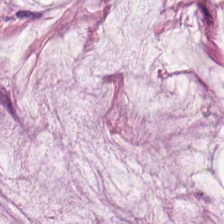0.5 microns per pixel; H&E-stained tissue section. Showing mucus.
